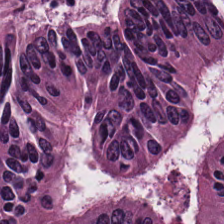H&E stain; FFPE.
This field is colorectal adenocarcinoma epithelium.
